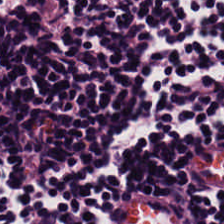0.5 microns per pixel · 224×224 px patch · hematoxylin and eosin.
Q: What type of tissue is this?
A: The field shows lymphocyte aggregate.
